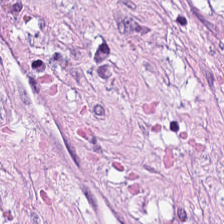H&E-stained tissue section showing tumor stroma.
